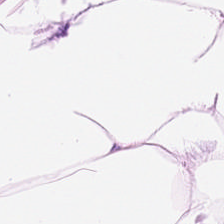Predominantly adipose.
